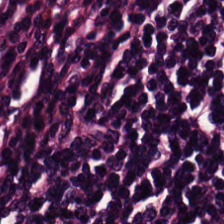H&E stain. Brightfield microscopy. FFPE.
Predominant tissue = lymphoid infiltrate.
